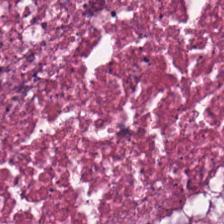Predominantly debris.
